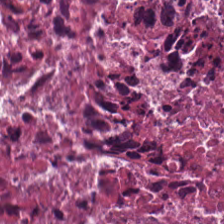Hematoxylin and eosin.
This patch shows cellular debris.
